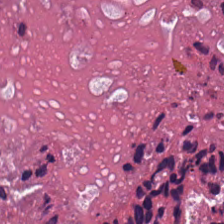Hematoxylin and eosin · 224×224 px tile.
{"tissue_type": "debris"}
